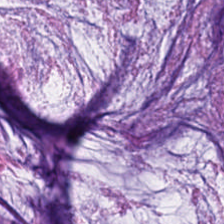H&E patch showing mucus.
